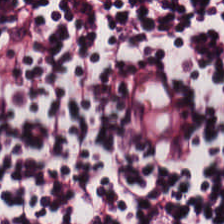Tissue — lymphocytes.
